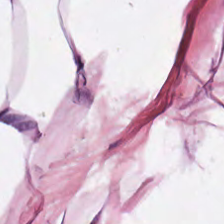FFPE; 20× equivalent magnification; hematoxylin and eosin.
Showing fat tissue.
